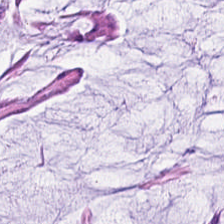Mucus.
